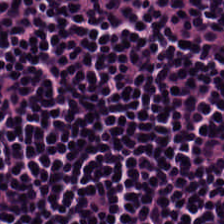Hematoxylin-and-eosin stained section. This patch shows lymphocyte aggregate.
